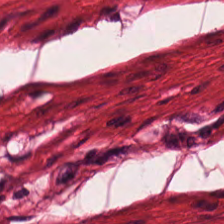0.5 µm per pixel · H&E-stained tissue section. This field is smooth-muscle tissue.
